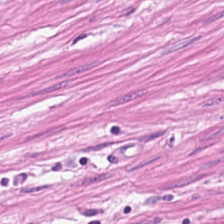H&E. 224×224 pixel tile — Predominantly smooth-muscle tissue.
